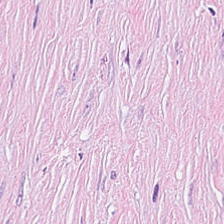Brightfield microscopy · H&E stain — Q: What is shown in this field?
A: It is desmoplastic stroma.
